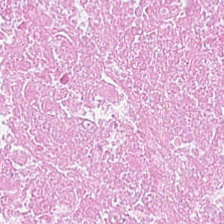Tissue type — cellular debris.
